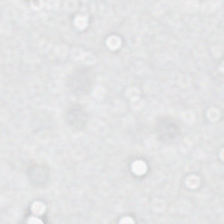Whole-slide-image patch; hematoxylin and eosin.
{"content": "background (no tissue)"}
